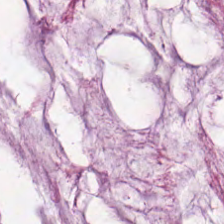H&E · 0.5 µm per pixel — Tissue type = mucin.
